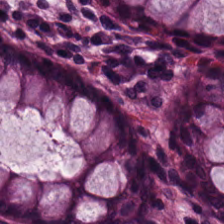The tissue here is normal colonic mucosa.
